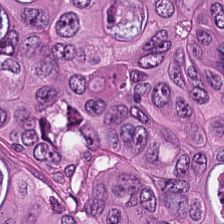Hematoxylin-and-eosin stained section. This patch shows tumor epithelium.
